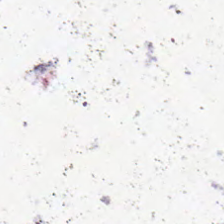20× equivalent magnification. H&E. Whole-slide-image patch.
Q: Classify this patch.
A: This is no tissue.
